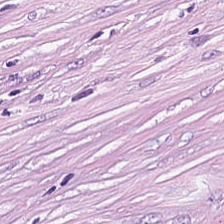Tissue type = tumor stroma.
